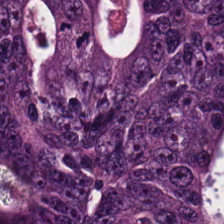H&E — Q: What tissue type is shown here?
A: The field shows tumor epithelium.
